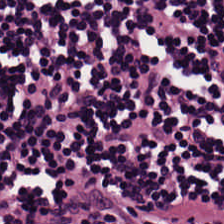Hematoxylin-and-eosin stained section — Q: What tissue type is shown here?
A: This is lymphocytes.
